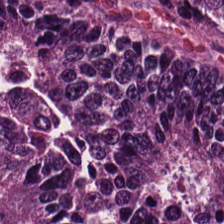Formalin-fixed paraffin-embedded section · H&E stain — Q: What is shown in this field?
A: This is adenocarcinoma.
